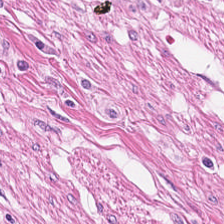Hematoxylin and eosin. Tissue class = smooth-muscle tissue.
